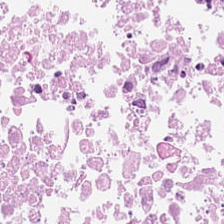H&E-stained tissue section.
Q: What tissue is shown?
A: This is necrotic debris.
